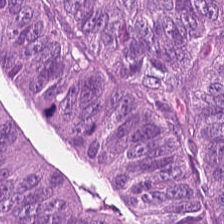Hematoxylin and eosin.
Q: Classify this patch.
A: The field shows malignant epithelium.
